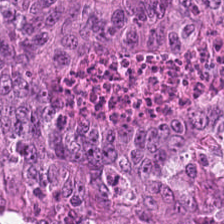Stain: hematoxylin and eosin.
Tissue type: malignant epithelium.
